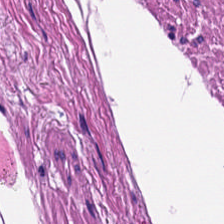Hematoxylin and eosin.
Histology — muscularis.
